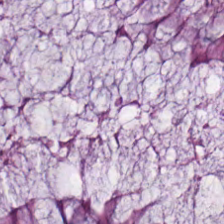Hematoxylin and eosin — Tissue type = normal colon mucosa.
